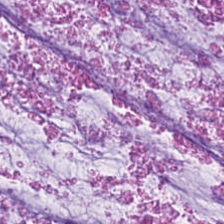This patch shows extracellular mucin.
